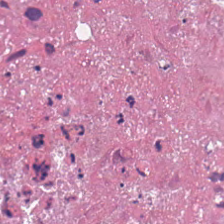H&E stain. Finding → debris.
